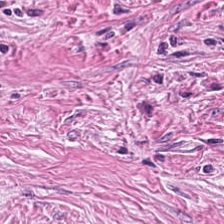Brightfield · hematoxylin-and-eosin stained section — Predominant tissue — tumor-associated stroma.
